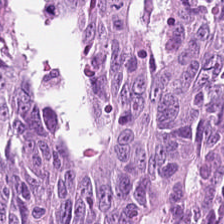Hematoxylin and eosin. The tissue here is malignant epithelium.
